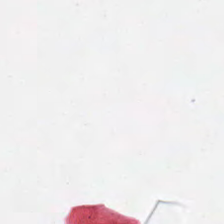H&E stain. {"content": "background"}
